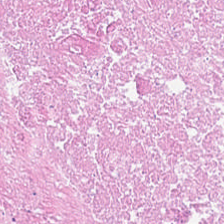Predominantly debris.
